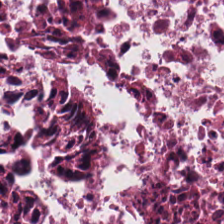H&E stain — This field is necrotic debris.
